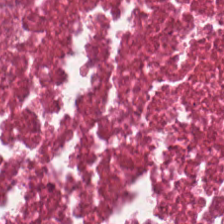Stain: H&E-stained tissue section.
Acquisition: whole-slide-image patch.
Tissue type: necrotic debris.
